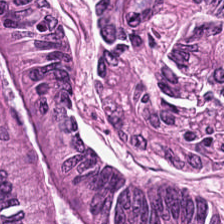The predominant tissue is malignant epithelium.
